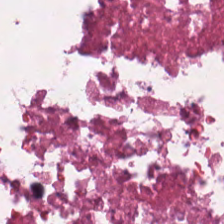H&E stain. Classification — debris.
